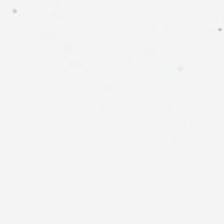H&E-stained tissue section; 224×224 px tile — Histology → no tissue.
